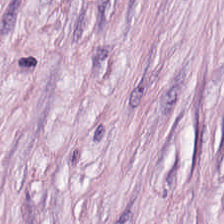H&E — Tissue type — desmoplastic stroma.
